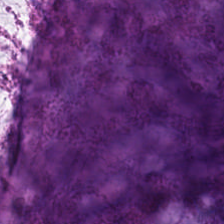20× equivalent magnification. H&E stain.
Predominantly extracellular mucin.
